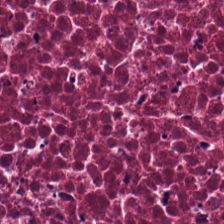20× equivalent magnification. H&E stain — {"tissue_type": "necrotic debris"}
